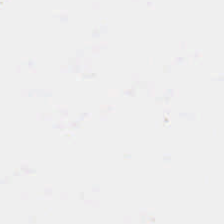H&E stain.
This field is background (no tissue).
